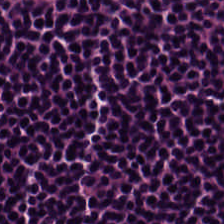H&E-stained tissue section.
This field is lymphocytes.
